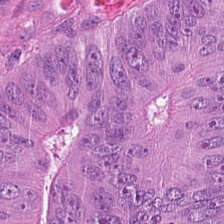0.5 µm/px; hematoxylin and eosin — Finding — adenocarcinoma.
